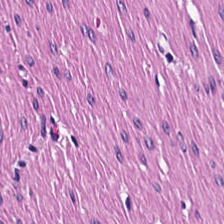H&E; 0.5 µm per pixel; brightfield microscopy.
This field is smooth-muscle tissue.
